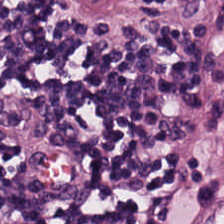224×224 px patch; H&E. Q: What does this patch show?
A: Lymphocytic infiltrate.
